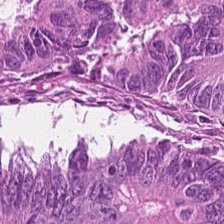H&E — Predominantly malignant epithelium.
